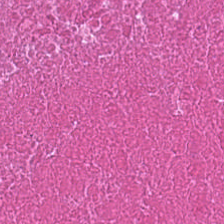Hematoxylin-and-eosin stained section; brightfield — Finding → cellular debris.
